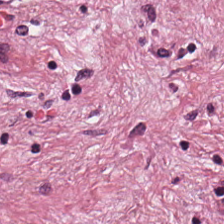Stain: hematoxylin-and-eosin stained section.
Tissue class: desmoplastic stroma.
